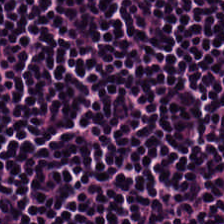H&E. Showing lymphoid infiltrate.
